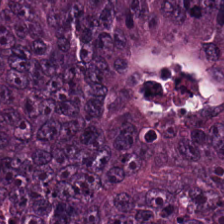224×224 px patch · hematoxylin-and-eosin stained section.
{"tissue_type": "adenocarcinoma"}
